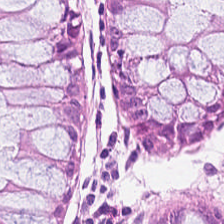0.5 µm/px · H&E-stained tissue section — Finding → benign colonic mucosa.
